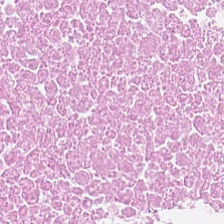H&E · FFPE.
Q: What is shown here?
A: This is cellular debris.
